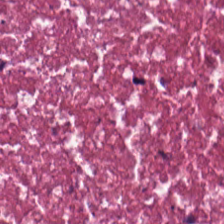H&E-stained tissue section.
Histology — necrotic debris.
